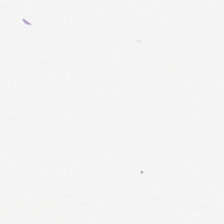Histology — background (no tissue).
